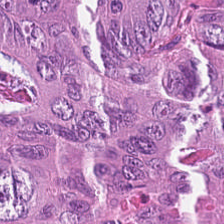0.5 microns per pixel; H&E-stained tissue section — Colorectal adenocarcinoma.
